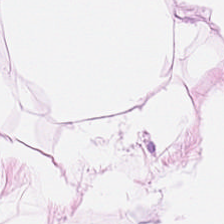Stain: hematoxylin-and-eosin stained section.
Predominant tissue: adipocytes.
